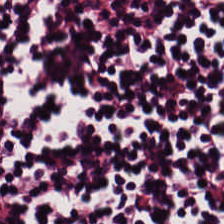Histology → lymphoid infiltrate.
